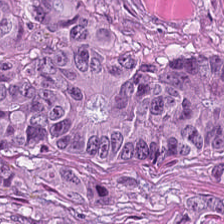Hematoxylin-and-eosin stained section — This field is adenocarcinoma.
